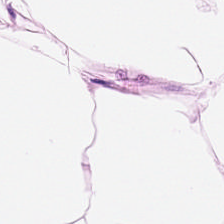H&E stain. Tissue type — adipose.
